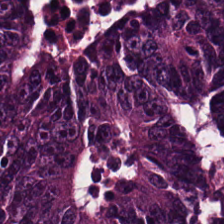Hematoxylin and eosin. The tissue is malignant epithelium.
